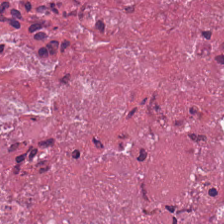0.5 µm per pixel · hematoxylin and eosin — Classification = necrotic debris.
